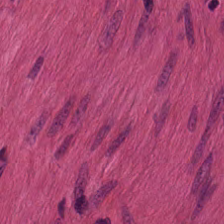The tissue type is smooth-muscle tissue.
